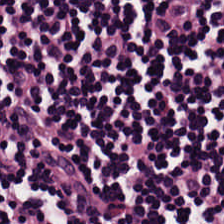Predominantly lymphocytes.
